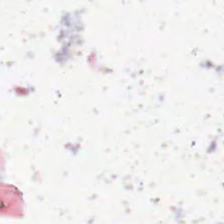Background — no tissue in this field.
